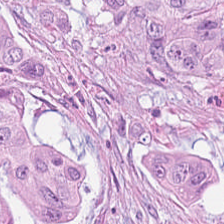FFPE tissue section · hematoxylin and eosin — Tissue class: adenocarcinoma.
